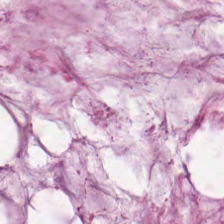FFPE · brightfield · H&E stain.
{"tissue_type": "mucus"}
